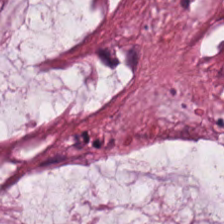Q: What is the predominant tissue type?
A: Extracellular mucin.
